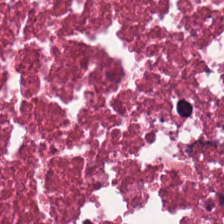Stain: hematoxylin-and-eosin stained section.
Resolution: 0.5 µm per pixel.
Predominant tissue: cellular debris.
